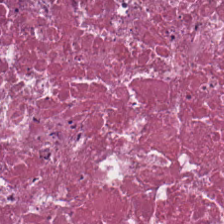Whole-slide-image patch · H&E stain · 224×224 px tile. This field is debris.
